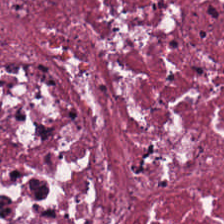0.5 microns per pixel · hematoxylin and eosin.
This field is debris.
